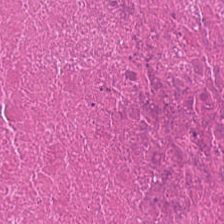This patch shows cellular debris.
